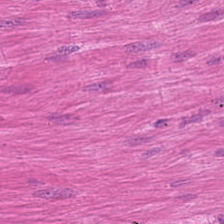H&E stain.
The predominant tissue is muscularis.
